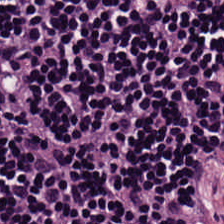H&E-stained tissue section · whole-slide-image patch.
This patch shows lymphoid infiltrate.
